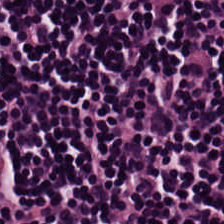Stain: H&E-stained tissue section.
Classification: lymphocytes.
